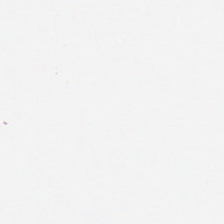H&E-stained tissue section — Q: Classify this patch.
A: It is background.
